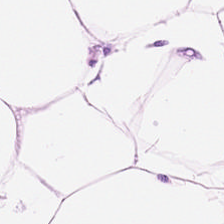FFPE tissue section · WSI patch · H&E. Histology → adipose.
